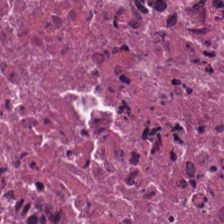0.5 µm per pixel · FFPE tissue section · hematoxylin and eosin.
Q: What tissue is shown?
A: It is necrotic debris.
